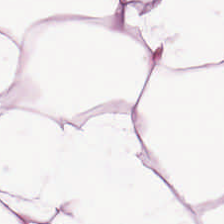Hematoxylin and eosin.
Tissue class: fat tissue.
